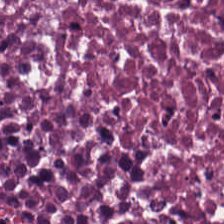Stain: H&E.
Preparation: FFPE tissue section.
Classification: cellular debris.
